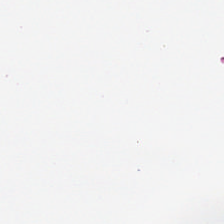H&E-stained tissue section. Background — no tissue in this field.
